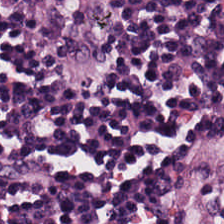H&E stain. Q: Identify the tissue.
A: This is lymphocytes.
